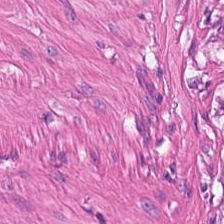Stain: hematoxylin-and-eosin stained section.
Classification: smooth-muscle tissue.
